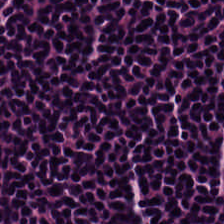0.5 µm per pixel · hematoxylin and eosin. Tissue class — lymphocyte aggregate.
